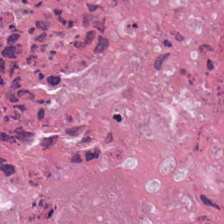H&E stain. 20× equivalent magnification. Formalin-fixed paraffin-embedded section.
Q: What is shown here?
A: This is necrotic debris.
